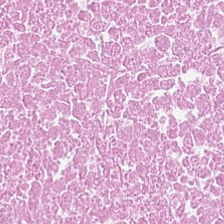H&E stain. Classification: debris.
